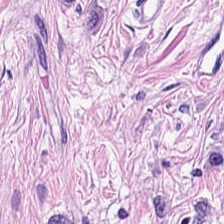The predominant tissue is tumor stroma.
